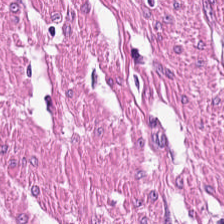H&E — Q: Classify this patch.
A: Muscularis.
